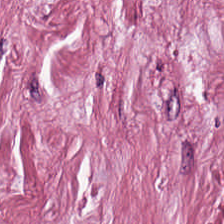224×224 pixel tile · H&E. Predominant tissue: desmoplastic stroma.
